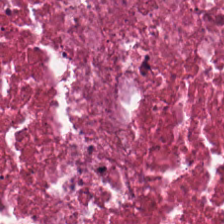This patch shows debris.
